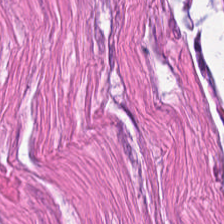FFPE tissue section. H&E.
Q: Identify the tissue.
A: This is muscularis.
